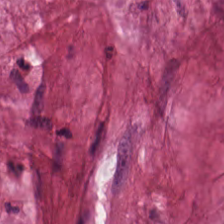Hematoxylin-and-eosin stained section — {"tissue_type": "extracellular mucin"}
